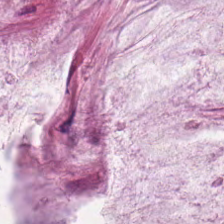H&E. Classification — extracellular mucin.
